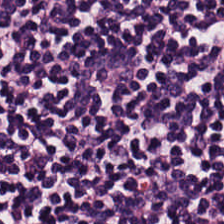H&E-stained tissue section.
Q: What is the predominant tissue type?
A: The field shows lymphocytic infiltrate.
